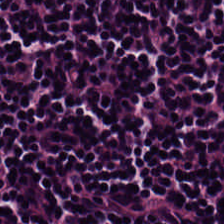Predominant tissue — lymphoid infiltrate.
